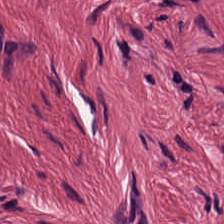Brightfield. H&E stain.
Finding — desmoplastic stroma.
